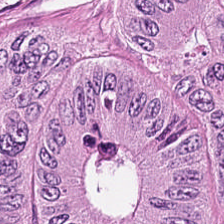0.5 µm/px · hematoxylin-and-eosin stained section. The tissue here is colorectal adenocarcinoma epithelium.
